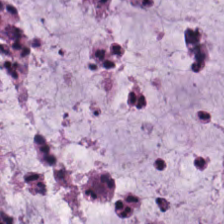Hematoxylin and eosin · 0.5 microns per pixel. Tissue class: mucus.
